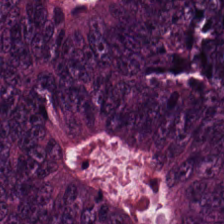FFPE tissue section; 224×224 px patch; hematoxylin-and-eosin stained section. Q: What is shown in this field?
A: This is colorectal adenocarcinoma epithelium.
